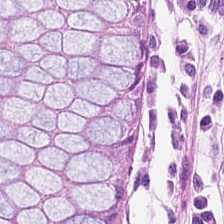H&E-stained tissue section. Tissue type — normal colon mucosa.
